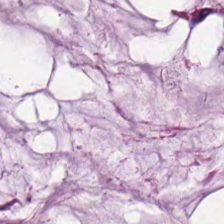Hematoxylin-and-eosin stained section — Predominantly extracellular mucin.
